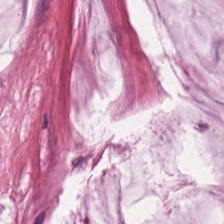H&E-stained tissue section; FFPE; brightfield microscopy.
Extracellular mucin.
